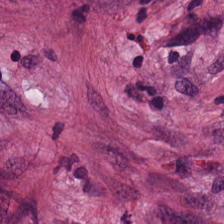H&E-stained tissue section; 224×224 px patch — The tissue here is tumor-associated stroma.
